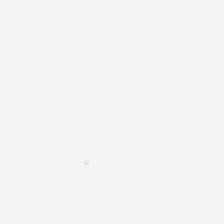This patch shows no tissue.
